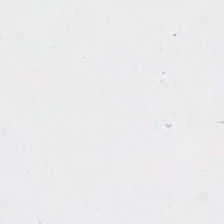H&E-stained tissue section — Empty field — background (no tissue).
